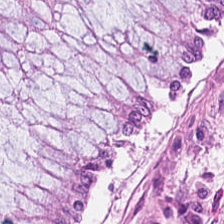This field is benign colonic mucosa.
